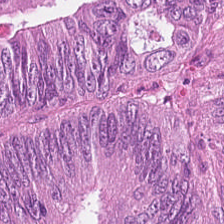Whole-slide-image patch; H&E-stained tissue section; 0.5 µm/px. Q: What is the predominant tissue type?
A: Colorectal adenocarcinoma epithelium.
